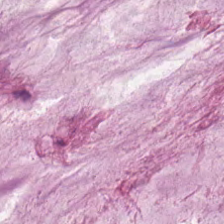Stain: H&E-stained tissue section.
Preparation: FFPE tissue section.
Tissue: extracellular mucin.
